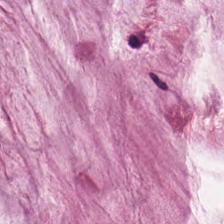H&E-stained tissue section. Tissue = extracellular mucin.
